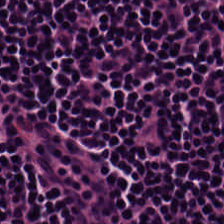H&E; 0.5 microns per pixel — Q: What tissue type is shown here?
A: Lymphocytes.
